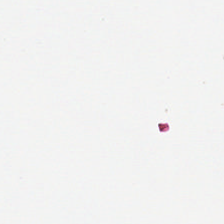224×224 pixel tile. FFPE tissue section. H&E stain — Background.
